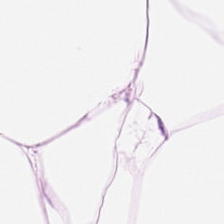Hematoxylin and eosin. The predominant tissue is adipocytes.
